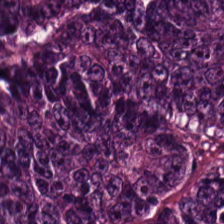H&E-stained tissue section; brightfield microscopy; 0.5 µm/px. Histology → colorectal adenocarcinoma epithelium.
